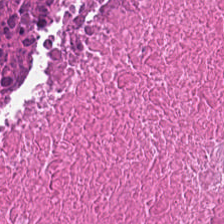Stain: H&E stain.
Resolution: 0.5 µm per pixel.
Classification: necrotic debris.
